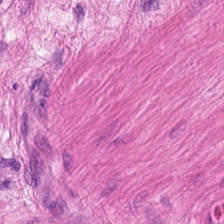Hematoxylin and eosin · FFPE · WSI patch — The tissue class is muscularis.
